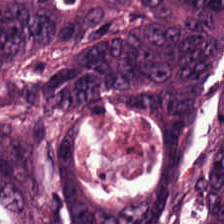FFPE. Hematoxylin-and-eosin stained section.
Q: What is shown in this field?
A: Tumor epithelium.
